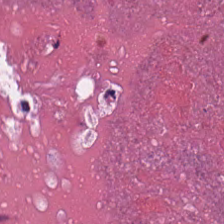Hematoxylin-and-eosin stained section. Whole-slide-image patch — Q: Classify this patch.
A: Debris.
